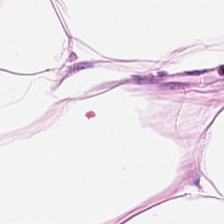Hematoxylin and eosin; 224×224 pixel tile; FFPE tissue section.
Showing adipose tissue.
